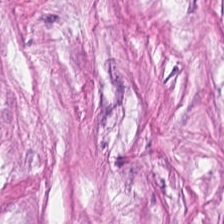Hematoxylin-and-eosin stained section.
This field is cancer-associated stroma.
